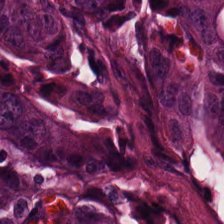The tissue is tumor epithelium.
